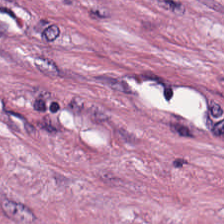Brightfield microscopy. H&E. Formalin-fixed paraffin-embedded section. Histology — desmoplastic stroma.
